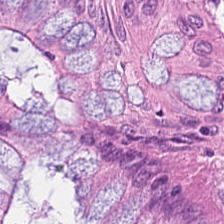H&E stain · 20× equivalent magnification · whole-slide-image patch. Tissue type: normal colonic mucosa.
